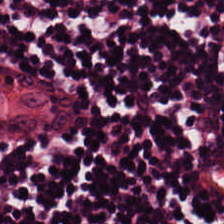This patch shows lymphocyte aggregate.
